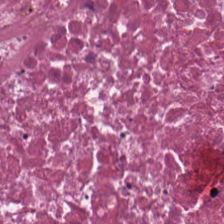Hematoxylin-and-eosin stained section · 0.5 µm per pixel · brightfield microscopy — Tissue: debris.
